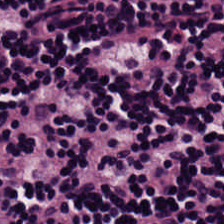Tissue type = lymphoid infiltrate.
